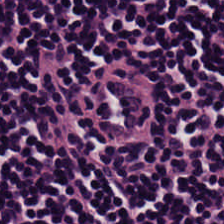0.5 microns per pixel. H&E-stained tissue section.
Q: What tissue is shown?
A: The field shows lymphocyte aggregate.
